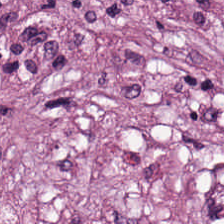Q: What is shown in this field?
A: Desmoplastic stroma.
